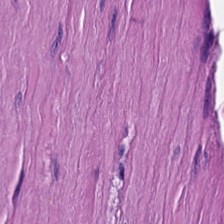Whole-slide-image patch. 224×224 px patch. H&E stain. The tissue is smooth-muscle tissue.
